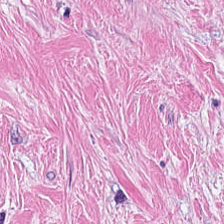H&E — The tissue here is desmoplastic stroma.
